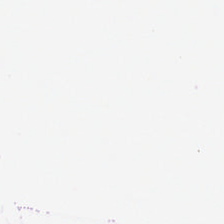20× equivalent magnification · hematoxylin-and-eosin stained section — This field is background (no tissue).
